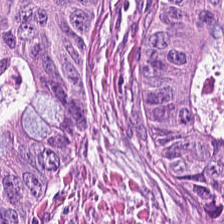Tissue: adenocarcinoma.
